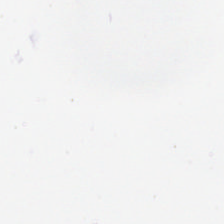H&E — The classification is empty background.
